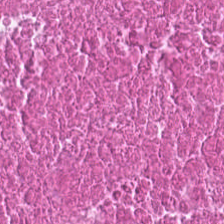H&E stain; 20× equivalent magnification. Showing cellular debris.
